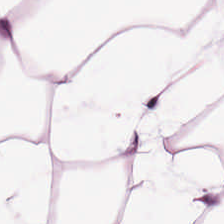FFPE tissue section · H&E stain. Tissue type — fat tissue.
